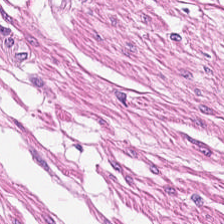H&E stain · brightfield. Smooth-muscle tissue.
